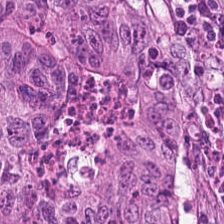20× equivalent magnification · H&E.
Predominant tissue: colorectal adenocarcinoma.
